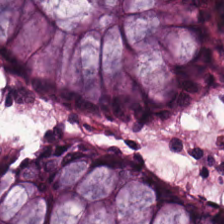H&E; 224×224 pixel tile.
The predominant tissue is non-neoplastic colon mucosa.
